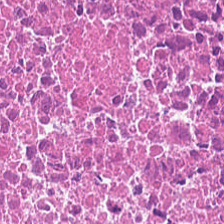H&E stain.
This patch shows debris.
